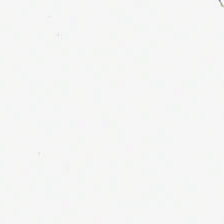Empty background.
